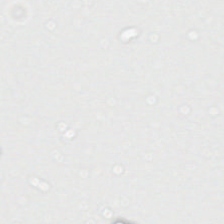Hematoxylin and eosin — Q: What does this patch show?
A: This is no tissue.
